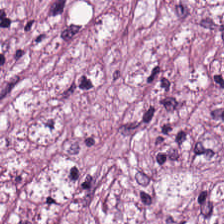Tissue type = cancer-associated stroma.
